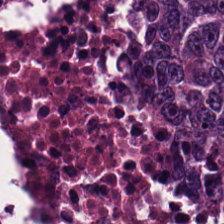H&E stain — This field is tumor epithelium.
